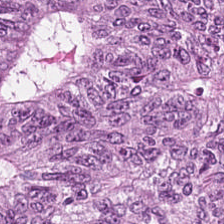H&E-stained tissue section · 224×224 px tile.
This patch shows colorectal adenocarcinoma epithelium.
